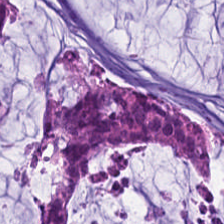H&E-stained tissue section. Q: What is shown in this field?
A: The field shows extracellular mucin.
